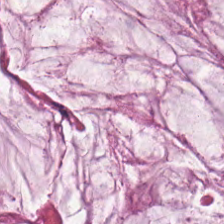Formalin-fixed paraffin-embedded section · hematoxylin-and-eosin stained section.
{"tissue_type": "extracellular mucin"}
